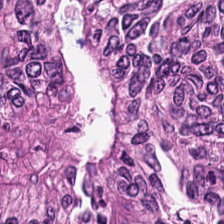Hematoxylin-and-eosin stained section · FFPE tissue section. Showing colorectal adenocarcinoma.
